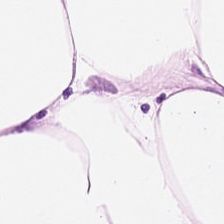H&E-stained tissue section — Adipose tissue.
